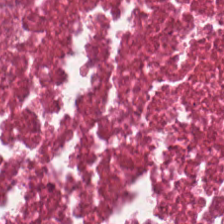Stain: H&E-stained tissue section.
Tile size: 224×224 pixel tile.
Classification: cellular debris.
